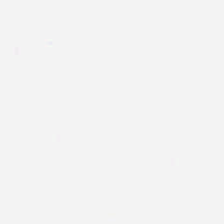Histology — background (no tissue).
